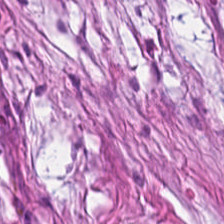Hematoxylin-and-eosin stained section.
The tissue here is tumor stroma.
